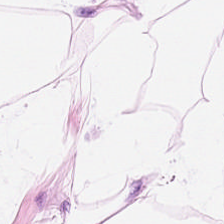Hematoxylin-and-eosin stained section.
Q: What is shown here?
A: Adipose.
